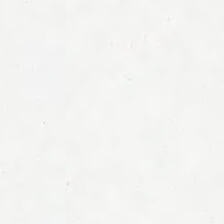Hematoxylin and eosin — Content = background.
